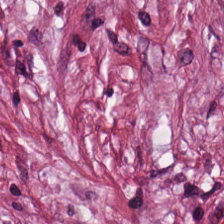H&E-stained tissue section — Tissue class — tumor-associated stroma.
